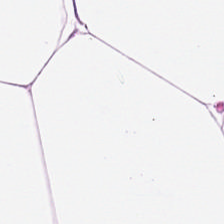This patch shows adipose tissue.
